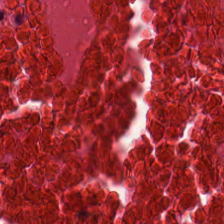Tissue type = debris.
